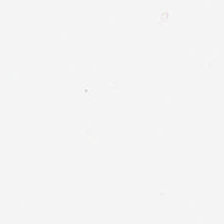H&E stain. No tissue present; background only.
